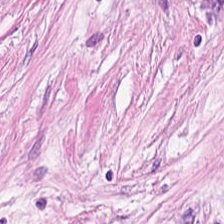H&E stain.
Histology — tumor stroma.
